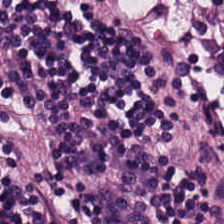H&E-stained tissue section. Showing lymphocytes.
